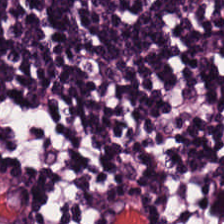H&E. Formalin-fixed paraffin-embedded section. {"tissue_type": "lymphoid infiltrate"}
